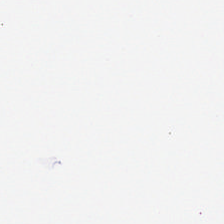H&E — Content = background.
